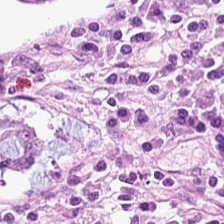H&E.
This patch shows normal colon mucosa.
